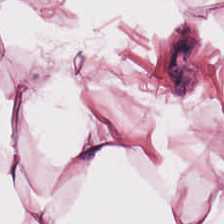Stain: H&E.
Preparation: FFPE tissue section.
Tile size: 224×224 px tile.
Tissue class: adipose tissue.
